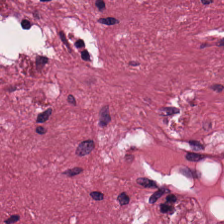H&E-stained tissue section · formalin-fixed paraffin-embedded section · 0.5 microns per pixel.
The tissue type is tumor stroma.
